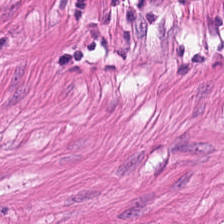Finding → smooth-muscle tissue.
